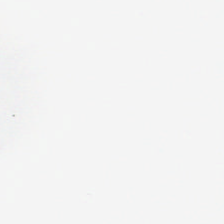H&E — Background — no tissue in this field.
